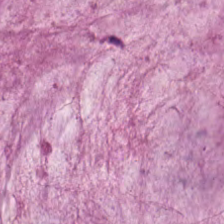H&E patch showing mucus.
